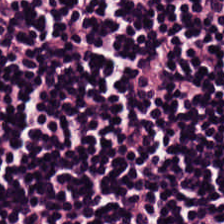Hematoxylin-and-eosin stained section. Predominant tissue — lymphocytes.
